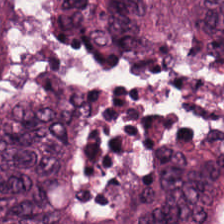WSI patch. H&E. 224×224 px tile. The predominant tissue is adenocarcinoma.
